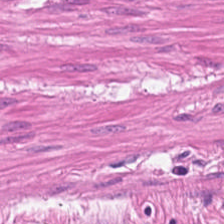Stain: hematoxylin-and-eosin stained section.
Tile size: 224×224 px patch.
Tissue type: smooth muscle.
